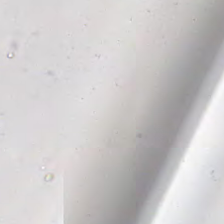H&E. FFPE tissue section.
Background (no tissue).
